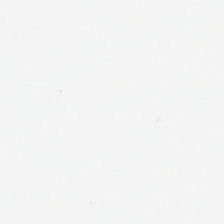H&E stain.
This patch shows no tissue.
